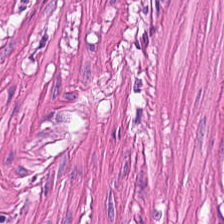FFPE tissue section. H&E stain. Q: What is shown in this field?
A: Smooth-muscle tissue.
